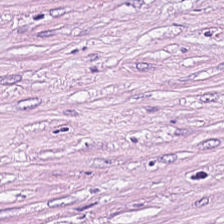H&E stain · brightfield microscopy — The tissue here is desmoplastic stroma.
